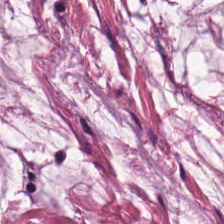H&E; brightfield.
Q: What is shown here?
A: Mucus.
